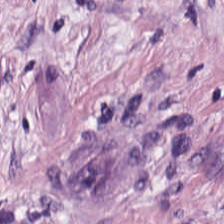This patch shows tumor stroma.
